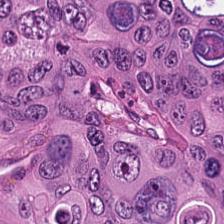{"tissue_type": "colorectal adenocarcinoma epithelium"}
